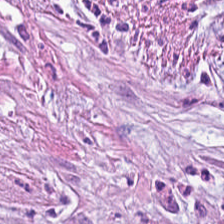Hematoxylin and eosin.
Showing cancer-associated stroma.
